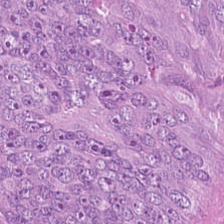Hematoxylin-and-eosin stained section; FFPE tissue section — Q: What type of tissue is this?
A: It is colorectal adenocarcinoma.
